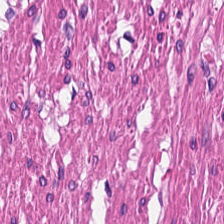Hematoxylin and eosin — This patch shows smooth-muscle tissue.
